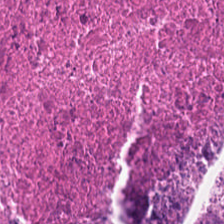H&E.
Tissue = cellular debris.
